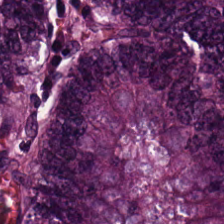FFPE · brightfield microscopy · H&E stain.
Showing colorectal adenocarcinoma epithelium.
